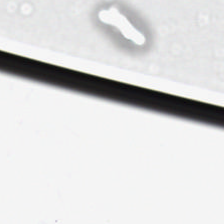Stain: hematoxylin-and-eosin stained section.
Classification: background.
